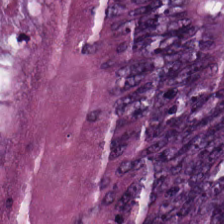Malignant epithelium.
